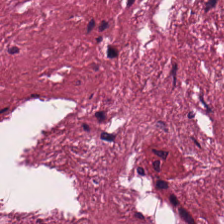H&E-stained tissue section · brightfield. Histology — tumor stroma.
